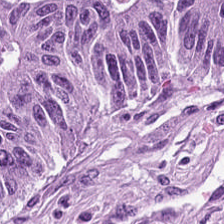Whole-slide-image patch. Hematoxylin and eosin. Formalin-fixed paraffin-embedded section.
Q: Identify the tissue.
A: The field shows malignant epithelium.
